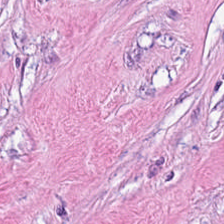Q: What tissue is shown?
A: This is cancer-associated stroma.
